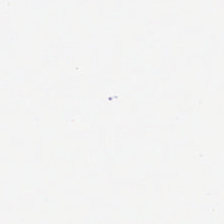H&E-stained tissue section · 0.5 µm per pixel — Empty field — background.
